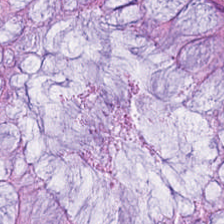Hematoxylin-and-eosin stained section; brightfield. Predominantly normal colonic mucosa.
